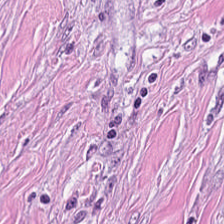H&E · 0.5 µm/px · WSI patch. Q: What does this patch show?
A: Tumor stroma.
